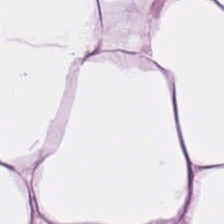Q: What is shown here?
A: It is adipose.
